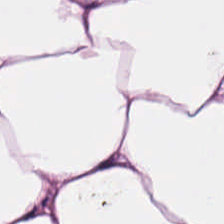H&E-stained tissue section. Predominant tissue = fat tissue.
